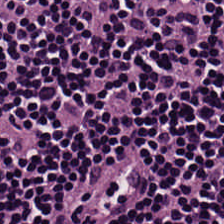H&E. 0.5 µm per pixel. Tissue class = lymphocytes.
